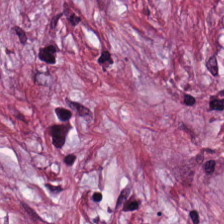Hematoxylin and eosin · FFPE.
Classification = cancer-associated stroma.
